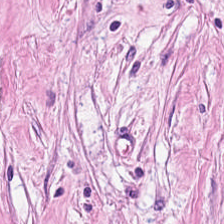H&E · 0.5 µm per pixel. This patch shows cancer-associated stroma.
